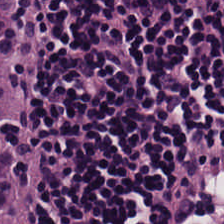H&E patch showing lymphocytic infiltrate.
